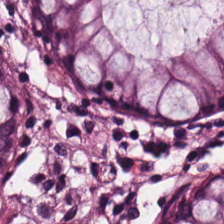H&E-stained tissue section.
Tissue: normal colonic mucosa.
